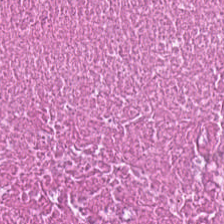Hematoxylin-and-eosin stained section. Formalin-fixed paraffin-embedded section. 20× equivalent magnification.
Tissue: debris.
